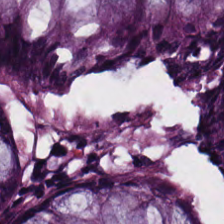Tissue class: normal colonic mucosa.
